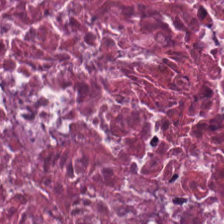H&E. This field is necrotic debris.
